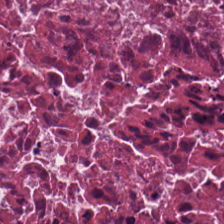FFPE tissue section; H&E-stained tissue section. Q: What type of tissue is this?
A: Debris.
